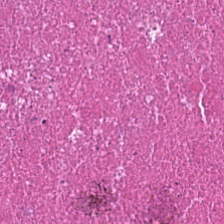Classification = cellular debris.
